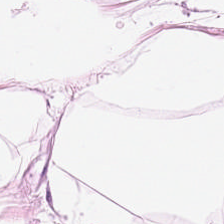H&E-stained tissue section. Brightfield. Finding → adipocytes.
